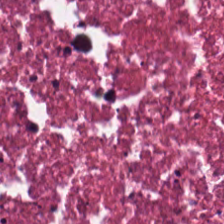Predominant tissue = cellular debris.
